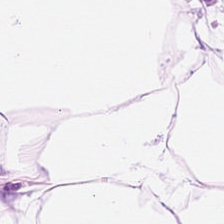H&E patch showing adipose tissue.
